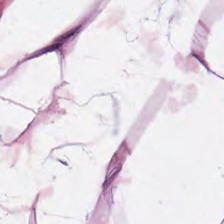Hematoxylin-and-eosin stained section.
This patch shows adipose.
